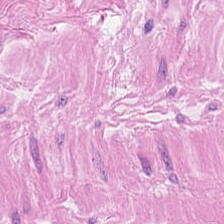H&E-stained tissue section. Predominant tissue = muscularis.
